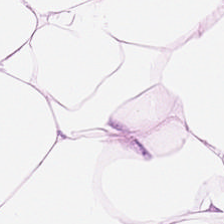H&E patch showing fat tissue.
